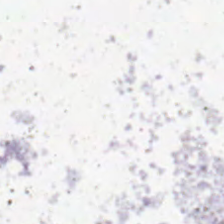Hematoxylin and eosin. Background — no tissue in this field.
